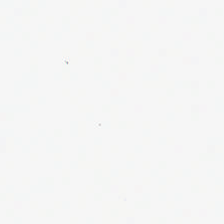FFPE. 0.5 µm per pixel. H&E-stained tissue section — Classification = empty background.
